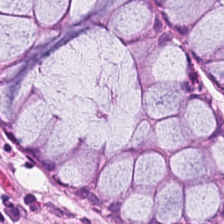Stain: H&E-stained tissue section.
Acquisition: brightfield.
Classification: benign colonic mucosa.
